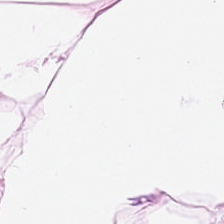H&E stain · FFPE.
Adipocytes.
